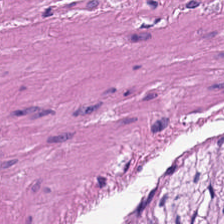H&E stain · 224×224 px tile — Q: What is the predominant tissue type?
A: This is smooth-muscle tissue.
